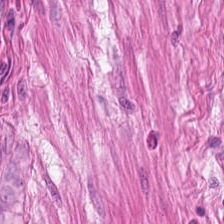H&E-stained tissue section. Showing muscularis.
